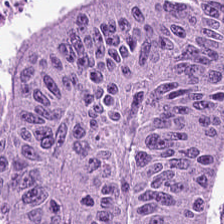Q: What type of tissue is this?
A: Tumor epithelium.
